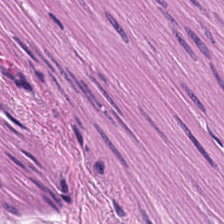H&E. {"tissue_type": "smooth muscle"}
